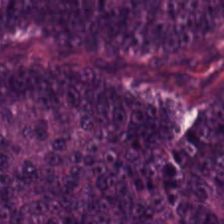Hematoxylin-and-eosin stained section.
Showing colorectal adenocarcinoma epithelium.
